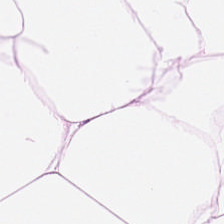Brightfield · H&E-stained tissue section.
The tissue is adipose.
